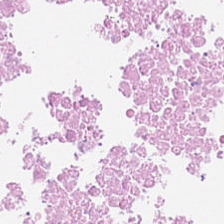WSI patch; H&E-stained tissue section. Finding — cellular debris.
